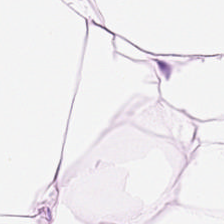Adipose.
